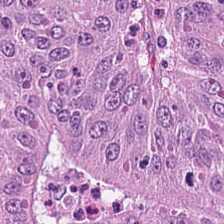{"tissue_type": "colorectal adenocarcinoma epithelium"}
